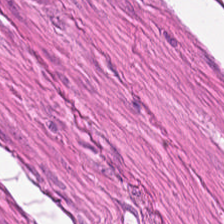Hematoxylin and eosin.
This field is smooth-muscle tissue.
